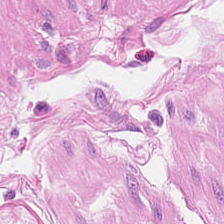H&E-stained section; the field shows smooth-muscle tissue.
